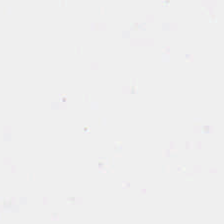Hematoxylin-and-eosin stained section · FFPE · WSI patch.
Q: Classify this patch.
A: This is background (no tissue).
